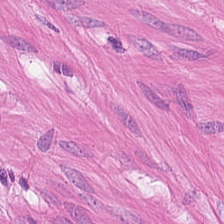Q: What type of tissue is this?
A: This is muscularis.
